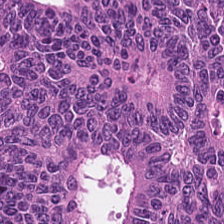Hematoxylin and eosin; FFPE — Q: What does this patch show?
A: It is colorectal adenocarcinoma.
